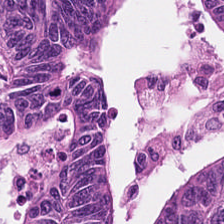Hematoxylin and eosin. Formalin-fixed paraffin-embedded section — {"tissue_type": "malignant epithelium"}
